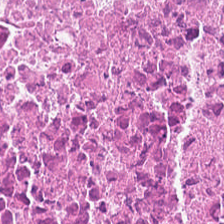H&E — Q: What does this patch show?
A: It is necrotic debris.
